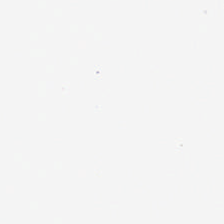This patch shows empty background.
